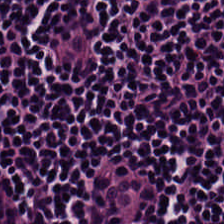Hematoxylin and eosin. 224×224 px tile. 0.5 µm per pixel.
Tissue — lymphocytic infiltrate.
